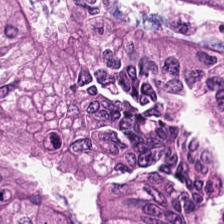Predominant tissue = colorectal adenocarcinoma.
